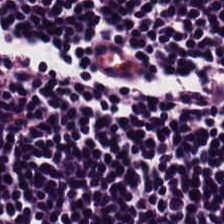Hematoxylin and eosin — The predominant tissue is lymphocytes.
